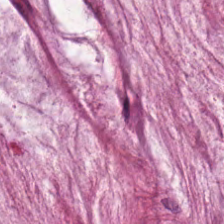Formalin-fixed paraffin-embedded section. H&E stain.
Q: What is the predominant tissue type?
A: It is extracellular mucin.
